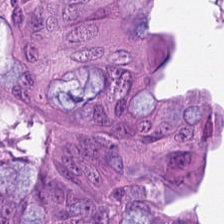Tissue type — tumor epithelium.
